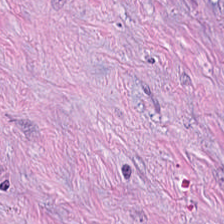Stain: H&E-stained tissue section.
Classification: desmoplastic stroma.
